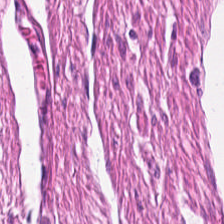Hematoxylin and eosin · 224×224 pixel tile.
This field is smooth muscle.
